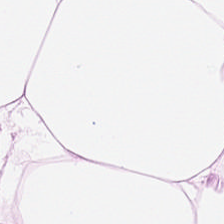H&E · brightfield · FFPE tissue section — Tissue class — fat tissue.
